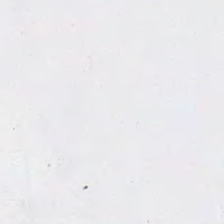224×224 px patch. H&E-stained tissue section.
Empty field — empty background.
